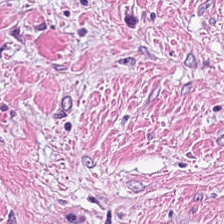FFPE tissue section; 224×224 px tile; H&E — Showing tumor stroma.
